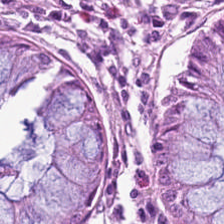Classification = benign colonic mucosa.
